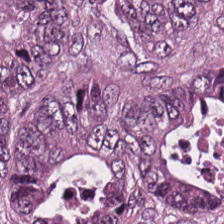Brightfield · H&E-stained tissue section. Q: What tissue type is shown here?
A: Malignant epithelium.
